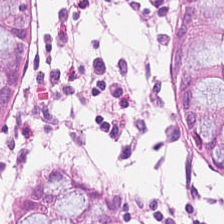0.5 µm/px. H&E — The classification is normal colonic mucosa.
